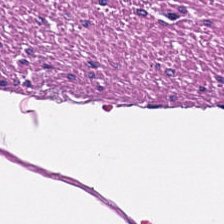Stain: H&E stain.
Acquisition: brightfield.
Tile size: 224×224 pixel tile.
Tissue class: muscularis.
